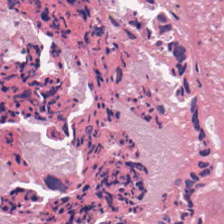Hematoxylin and eosin. The tissue here is debris.
